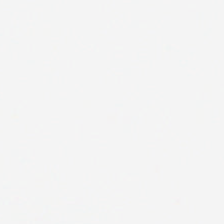Empty field — background.
